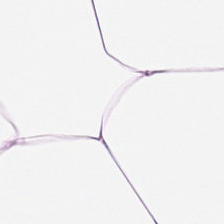Hematoxylin-and-eosin stained section — The predominant tissue is adipose tissue.
